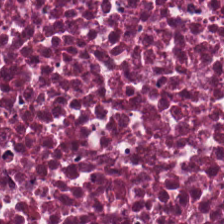Formalin-fixed paraffin-embedded section; H&E stain. {"tissue_type": "cellular debris"}
